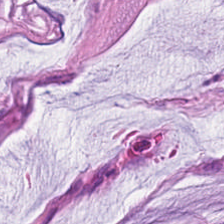20× equivalent magnification; H&E.
The tissue is extracellular mucin.
